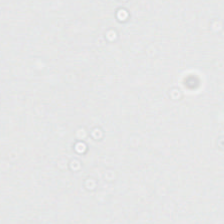H&E-stained tissue section. 224×224 px patch. Brightfield microscopy.
No tissue present; background only.
